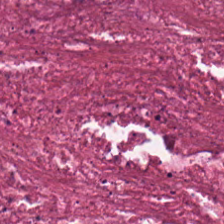Hematoxylin and eosin · 0.5 microns per pixel.
The tissue is cellular debris.
